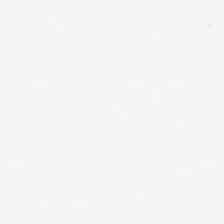H&E-stained tissue section.
This field is background (no tissue).
